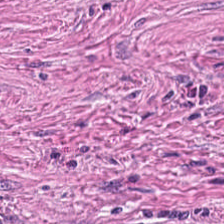Hematoxylin and eosin. 0.5 microns per pixel — Showing cancer-associated stroma.
